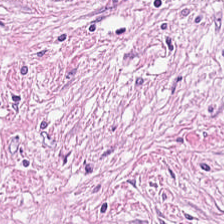Q: What does this patch show?
A: This is tumor-associated stroma.
